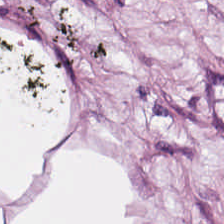Showing adipocytes.
